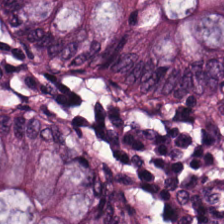H&E-stained tissue section.
Normal colon mucosa.
